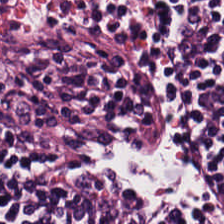H&E stain. Whole-slide-image patch. 224×224 px patch — The classification is lymphoid infiltrate.
